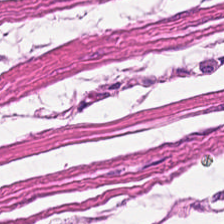Hematoxylin-and-eosin stained section. The predominant tissue is muscularis.
